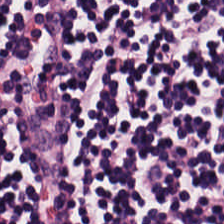The tissue type is lymphoid infiltrate.
